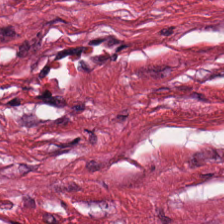H&E-stained tissue section — This field is tumor stroma.
